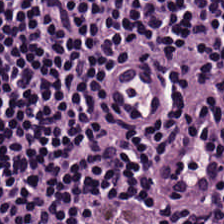The classification is lymphocyte aggregate.
